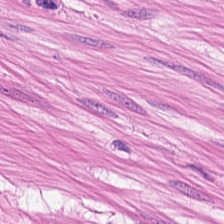H&E stain; brightfield microscopy.
Q: What is shown in this field?
A: It is smooth-muscle tissue.
